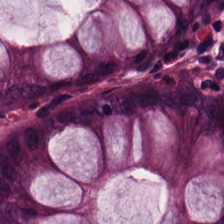Predominant tissue — benign colonic mucosa.
